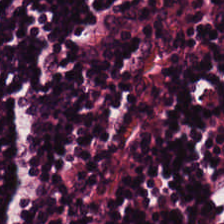Hematoxylin and eosin — The predominant tissue is lymphocyte aggregate.
